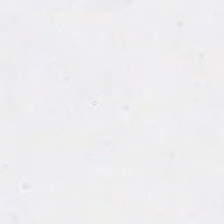Hematoxylin-and-eosin stained section — Field content: background (no tissue).
